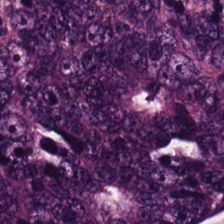224×224 pixel tile · H&E stain · 0.5 microns per pixel. This field is adenocarcinoma.
